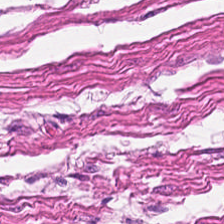Tissue: smooth muscle.
